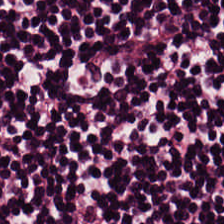20× equivalent magnification · hematoxylin and eosin. Q: What is the predominant tissue type?
A: This is lymphoid infiltrate.
